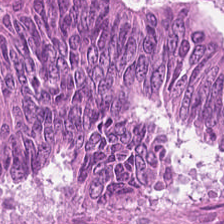Finding → colorectal adenocarcinoma epithelium.
